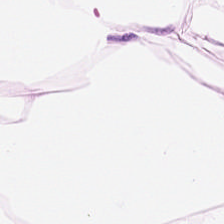H&E. FFPE tissue section.
Fat tissue.
